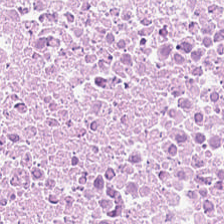H&E-stained tissue section — The tissue class is debris.
